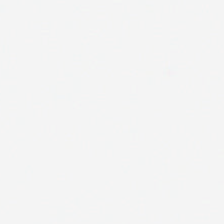Hematoxylin-and-eosin stained section. Q: What is shown in this field?
A: The field shows empty background.
